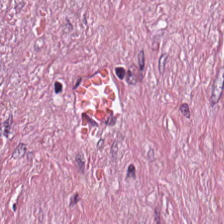Hematoxylin-and-eosin stained section.
This patch shows cancer-associated stroma.
